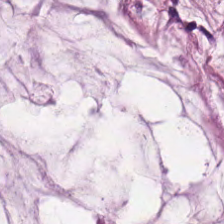H&E-stained tissue section.
{"tissue_type": "mucin"}
